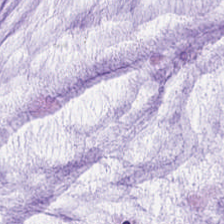H&E stain; WSI patch. The predominant tissue is mucus.
